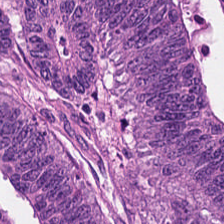Formalin-fixed paraffin-embedded section; hematoxylin and eosin — Showing colorectal adenocarcinoma epithelium.
